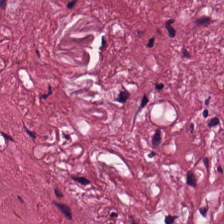Formalin-fixed paraffin-embedded section; brightfield; H&E — This field is desmoplastic stroma.
